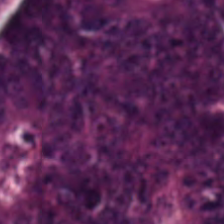H&E. Tissue — tumor epithelium.
